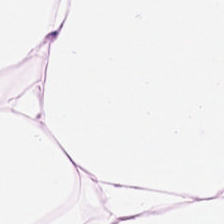H&E. Classification: adipocytes.
